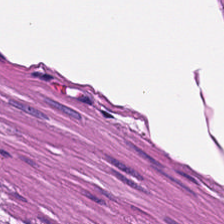Stain: hematoxylin-and-eosin stained section.
Tissue type: smooth muscle.
